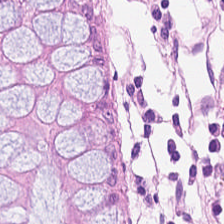Stain: hematoxylin-and-eosin stained section.
Tissue: non-neoplastic colon mucosa.
